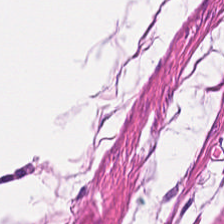Hematoxylin and eosin.
Impression — smooth muscle.
